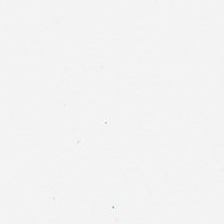H&E stain. Histology → no tissue.
